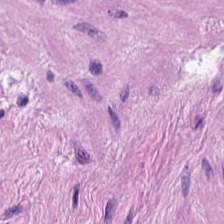H&E-stained tissue section — Tissue — smooth muscle.
